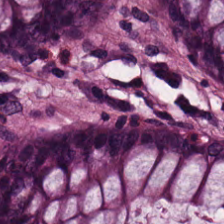0.5 µm/px; hematoxylin-and-eosin stained section. This patch shows normal colonic mucosa.
